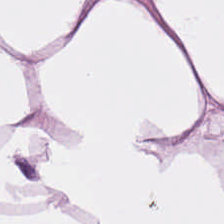224×224 pixel tile · H&E stain — The tissue is adipose.
